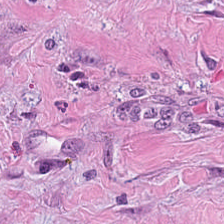H&E-stained tissue section. {"tissue_type": "desmoplastic stroma"}
